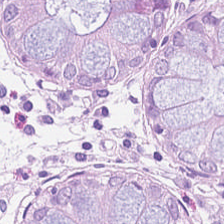H&E stain. This patch shows non-neoplastic colon mucosa.
